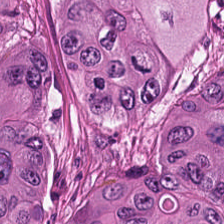224×224 pixel tile · H&E-stained tissue section.
Impression — adenocarcinoma.
